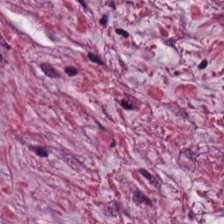20× equivalent magnification · H&E · formalin-fixed paraffin-embedded section — The predominant tissue is tumor stroma.
